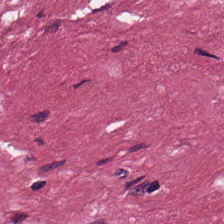Hematoxylin and eosin. 0.5 µm/px — Q: What is shown here?
A: It is tumor-associated stroma.
